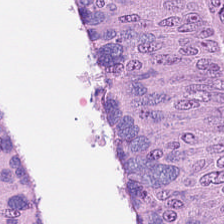H&E-stained tissue section.
Showing colorectal adenocarcinoma.
